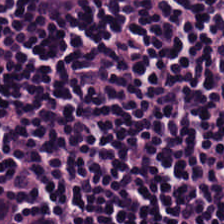FFPE. H&E. 0.5 microns per pixel. The tissue here is lymphoid infiltrate.
